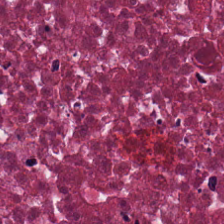Hematoxylin-and-eosin stained section — Showing debris.
